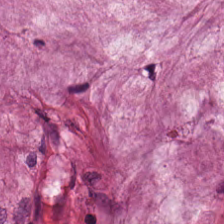FFPE. H&E.
Q: What does this patch show?
A: It is mucus.
